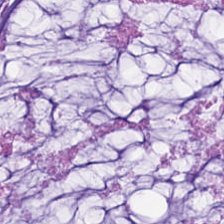Hematoxylin-and-eosin stained section; 0.5 µm per pixel — Histology — extracellular mucin.
